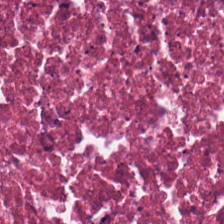0.5 µm/px. H&E stain — Debris.
